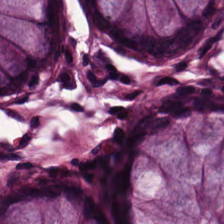Hematoxylin-and-eosin section: normal colonic mucosa.
